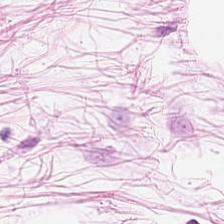Hematoxylin-and-eosin stained section. This patch shows adipose.
